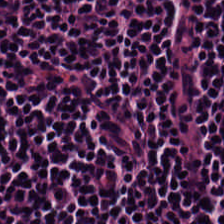H&E.
The predominant tissue is lymphocytes.
